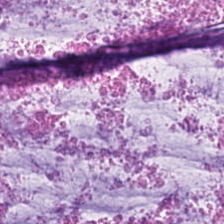0.5 µm per pixel · H&E stain — Mucus.
